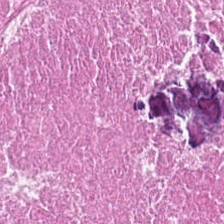224×224 px patch. H&E-stained tissue section — Tissue type — cellular debris.
